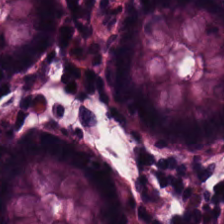H&E-stained tissue section. Finding → non-neoplastic colon mucosa.
